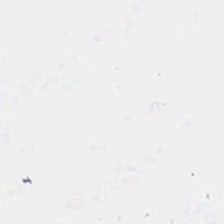Hematoxylin-and-eosin stained section. 0.5 microns per pixel.
Impression → background.
